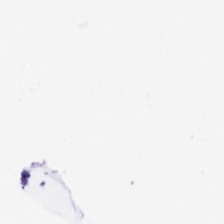H&E stain · brightfield microscopy — The content is background (no tissue).
